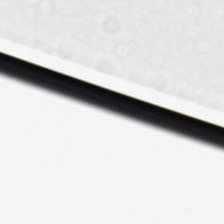224×224 px patch · FFPE · hematoxylin-and-eosin stained section. Finding → no tissue.
